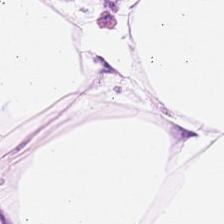This patch shows adipose.
